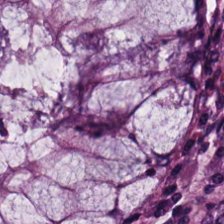H&E. FFPE tissue section. 0.5 microns per pixel. Tissue = benign colonic mucosa.
